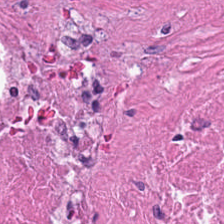Hematoxylin-and-eosin stained section.
The predominant tissue is cellular debris.
